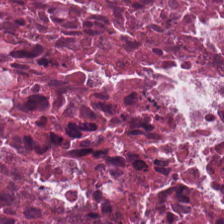Stain: H&E-stained tissue section.
Tile size: 224×224 pixel tile.
Tissue: cellular debris.
